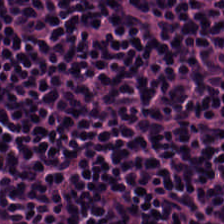H&E-stained tissue section showing lymphocyte aggregate.
